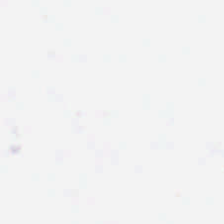H&E-stained tissue section — Q: What does this patch show?
A: This is empty background.
